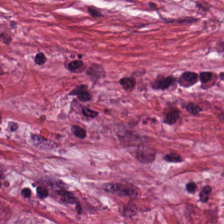Tissue type — cancer-associated stroma.
